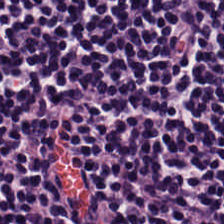Stain: H&E.
Tile size: 224×224 pixel tile.
Tissue: lymphocytic infiltrate.
